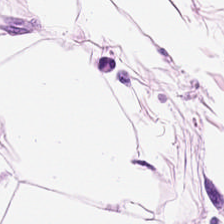H&E-stained tissue section showing adipocytes.
